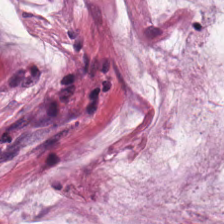224×224 px patch; H&E. Finding → mucin.
